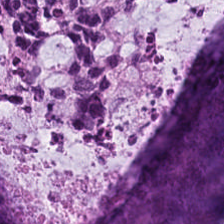H&E stain. Tissue class — mucin.
